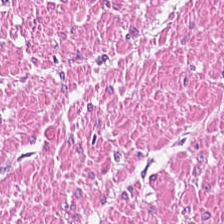H&E stain. 224×224 pixel tile. 0.5 microns per pixel — The tissue is muscularis.
